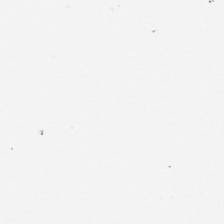Stain: hematoxylin and eosin.
Tile size: 224×224 pixel tile.
Field content: background.
